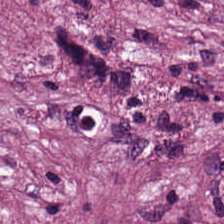Histology — desmoplastic stroma.
